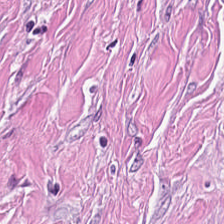H&E-stained tissue section. Q: What tissue is shown?
A: Tumor-associated stroma.
